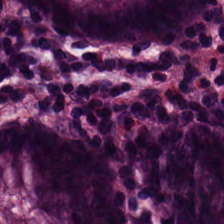Brightfield microscopy; H&E-stained tissue section.
The tissue type is normal colonic mucosa.
